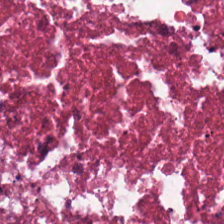The tissue is debris.
